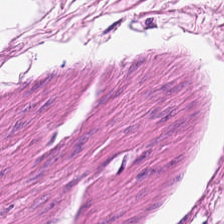Whole-slide-image patch; hematoxylin-and-eosin stained section.
The tissue is smooth muscle.
